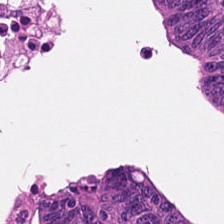Q: What is the predominant tissue type?
A: Tumor epithelium.
